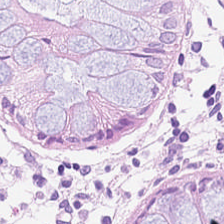Stain: hematoxylin and eosin.
Acquisition: brightfield microscopy.
Preparation: FFPE.
Tissue: benign colonic mucosa.
